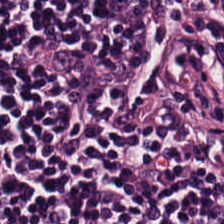Brightfield microscopy · H&E-stained tissue section · 0.5 µm/px. The tissue class is lymphocyte aggregate.
